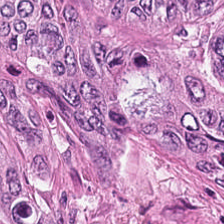Hematoxylin-and-eosin stained section. Predominant tissue — malignant epithelium.
